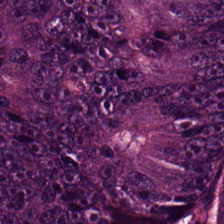Hematoxylin and eosin — Predominantly tumor epithelium.
